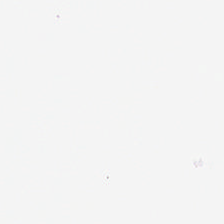No tissue.
